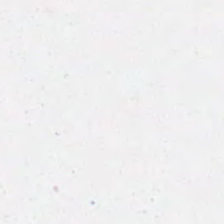Stain: H&E.
Resolution: 20× equivalent magnification.
Acquisition: whole-slide-image patch.
Field content: empty background.
